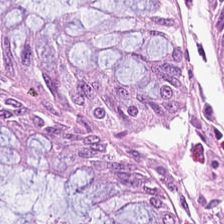FFPE · 224×224 pixel tile · H&E-stained tissue section.
Classification: normal colon mucosa.
